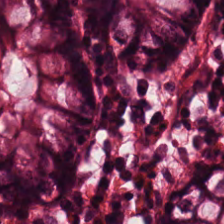Q: Identify the tissue.
A: The field shows normal colon mucosa.
